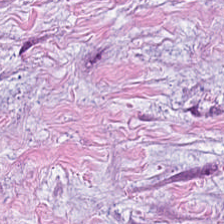Formalin-fixed paraffin-embedded section. H&E stain. 20× equivalent magnification — Tissue type: tumor-associated stroma.
